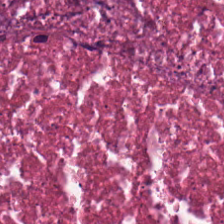Stain: H&E.
Resolution: 0.5 microns per pixel.
Classification: necrotic debris.
